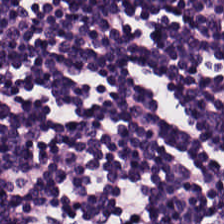Tissue = lymphocytes.
